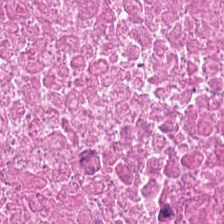WSI patch; hematoxylin and eosin; 224×224 pixel tile — Q: What type of tissue is this?
A: The field shows debris.
